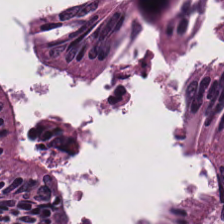Stain: H&E-stained tissue section.
Tissue type: tumor epithelium.
